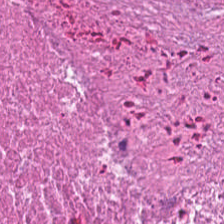H&E-stained tissue section — Q: What is shown in this field?
A: The field shows cellular debris.
